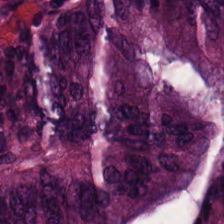Stain: H&E-stained tissue section.
Predominant tissue: adenocarcinoma.
